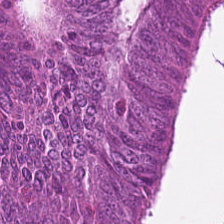H&E-stained tissue section.
The predominant tissue is malignant epithelium.
